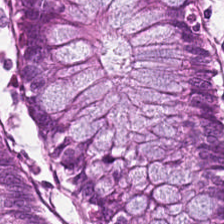Brightfield microscopy. H&E. Classification = normal colonic mucosa.
